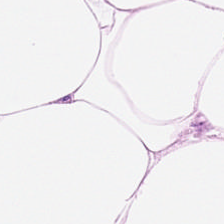Hematoxylin and eosin. Formalin-fixed paraffin-embedded section — Q: What is the predominant tissue type?
A: The field shows fat tissue.
